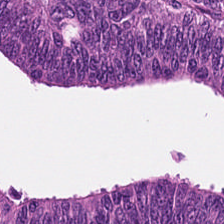FFPE. Hematoxylin and eosin.
Classification — tumor epithelium.
